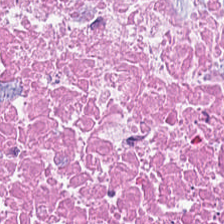H&E patch showing cellular debris.
